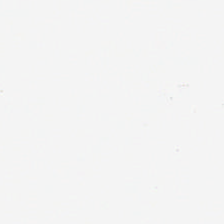H&E — Field content: no tissue.
